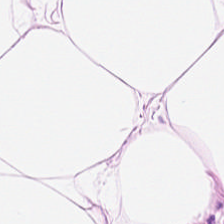H&E stain.
The tissue here is adipose.
